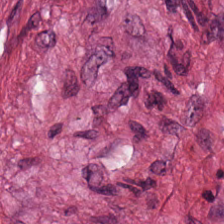H&E stain — The classification is tumor stroma.
